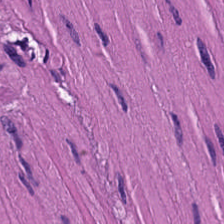Stain: H&E stain.
Tissue class: muscularis.
